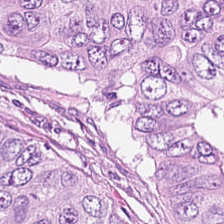Hematoxylin and eosin. Predominant tissue = malignant epithelium.
